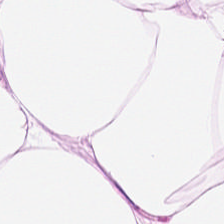Stain: H&E-stained tissue section.
Classification: adipose.
